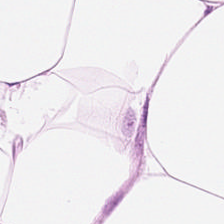Hematoxylin and eosin.
Q: What tissue is shown?
A: This is adipocytes.
